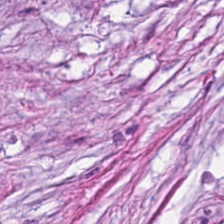Hematoxylin and eosin. FFPE tissue section. 20× equivalent magnification.
Tumor stroma.
